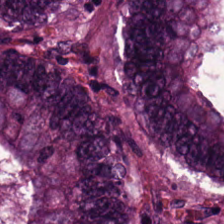224×224 px patch · 20× equivalent magnification · hematoxylin-and-eosin stained section. Showing adenocarcinoma.
